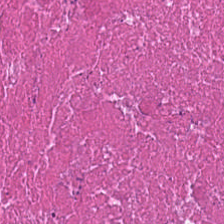H&E; formalin-fixed paraffin-embedded section.
Finding — necrotic debris.
